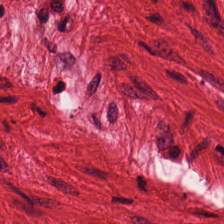Stain: H&E.
Acquisition: WSI patch.
Predominant tissue: muscularis.
